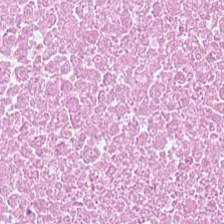Brightfield microscopy. 224×224 px patch. H&E-stained tissue section. This field is necrotic debris.
